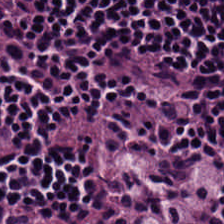Hematoxylin-and-eosin stained section. Predominant tissue = lymphocytes.
